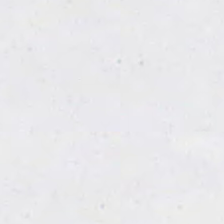Stain: hematoxylin and eosin.
Classification: empty background.
